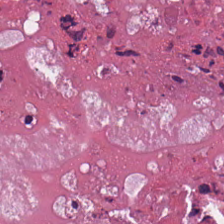Q: What is shown here?
A: Necrotic debris.
